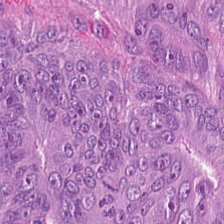H&E — Predominant tissue = colorectal adenocarcinoma.
